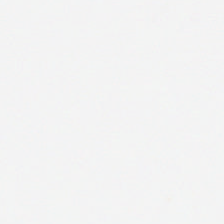Formalin-fixed paraffin-embedded section. H&E-stained tissue section.
This patch shows no tissue.
